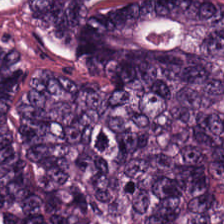H&E-stained tissue section. The predominant tissue is malignant epithelium.
